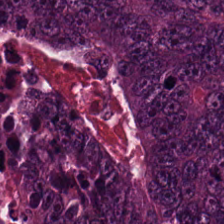H&E stain.
Q: What is the predominant tissue type?
A: Tumor epithelium.
